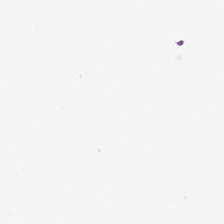Whole-slide-image patch · 224×224 pixel tile · hematoxylin-and-eosin stained section — No tissue present; background only.
